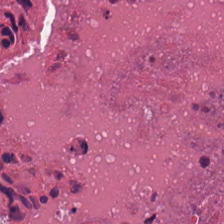H&E stain; whole-slide-image patch; formalin-fixed paraffin-embedded section — The predominant tissue is debris.
